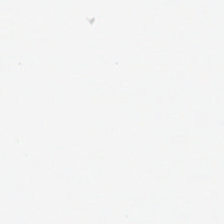H&E — The field content is empty background.
